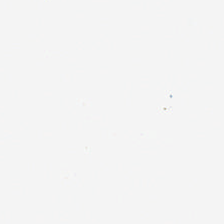H&E-stained tissue section. {"content": "empty background"}
